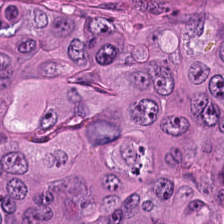H&E.
The predominant tissue is tumor epithelium.
